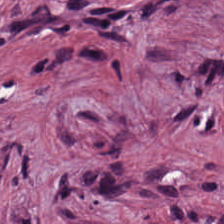Stain: H&E stain.
Preparation: formalin-fixed paraffin-embedded section.
Tissue type: cancer-associated stroma.
